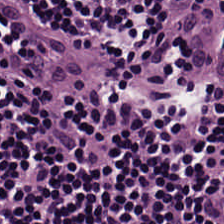H&E-stained tissue section — Q: What is the predominant tissue type?
A: Lymphocytic infiltrate.
